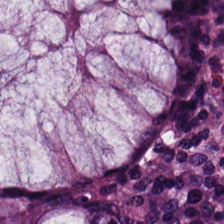H&E stain.
Tissue — benign colonic mucosa.
